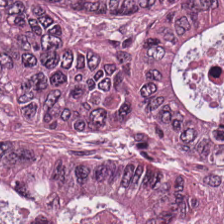Hematoxylin and eosin. Q: Identify the tissue.
A: The field shows colorectal adenocarcinoma epithelium.
